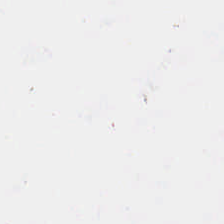Hematoxylin and eosin · FFPE · WSI patch.
Classification = empty background.
